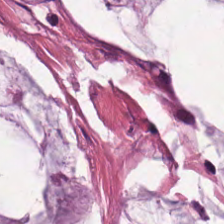224×224 px tile. Hematoxylin-and-eosin stained section. FFPE tissue section — This field is extracellular mucin.
